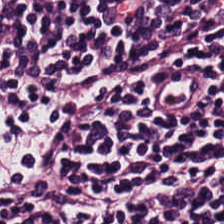H&E-stained tissue section — This patch shows lymphoid infiltrate.
